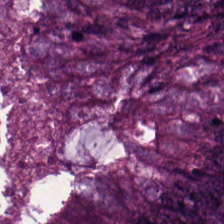H&E. 20× equivalent magnification. Whole-slide-image patch. Tissue: malignant epithelium.
